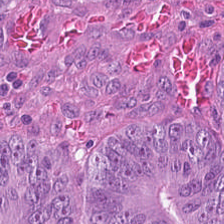H&E stain — The tissue here is colorectal adenocarcinoma.
